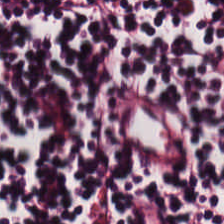FFPE. 224×224 px patch. H&E-stained tissue section. The predominant tissue is lymphocytic infiltrate.
